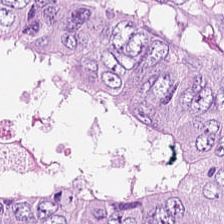Stain: H&E stain.
Resolution: 0.5 µm/px.
Predominant tissue: malignant epithelium.
